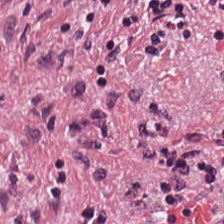H&E stain · FFPE — This patch shows cancer-associated stroma.
